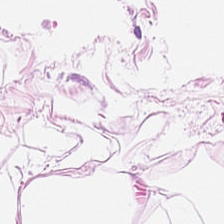H&E. Formalin-fixed paraffin-embedded section.
Q: What is shown in this field?
A: This is adipose tissue.
